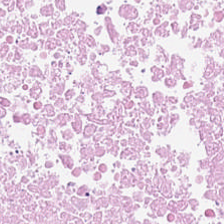Hematoxylin and eosin. 0.5 µm/px. 224×224 pixel tile — Predominantly debris.
